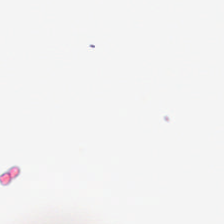H&E. This patch shows background (no tissue).
